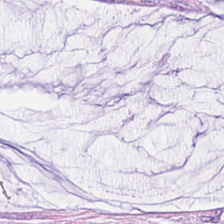H&E-stained tissue section. 224×224 px tile. Formalin-fixed paraffin-embedded section. The predominant tissue is mucin.
